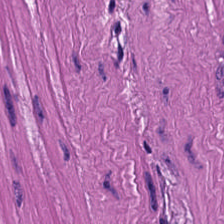224×224 px patch · H&E-stained tissue section — This field is smooth muscle.
